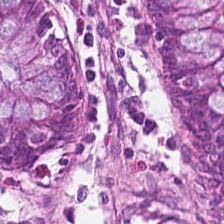Histology — normal colonic mucosa.
